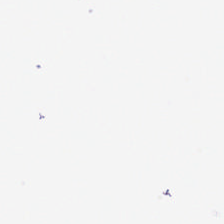H&E stain · 0.5 microns per pixel — {"content": "no tissue"}
